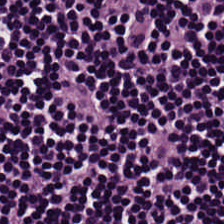224×224 pixel tile · whole-slide-image patch · H&E-stained tissue section — Lymphocytes.
